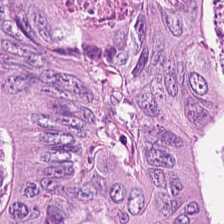Hematoxylin-and-eosin stained section. Adenocarcinoma.
